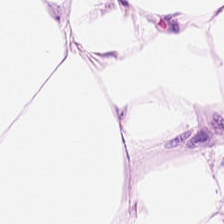H&E-stained tissue section — Tissue: adipose tissue.
